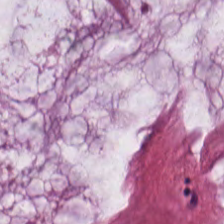Hematoxylin-and-eosin stained section. The predominant tissue is extracellular mucin.
